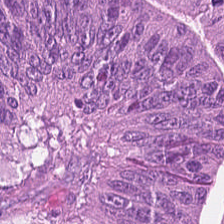H&E — Classification = adenocarcinoma.
